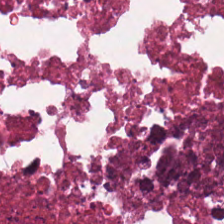Predominantly necrotic debris.
